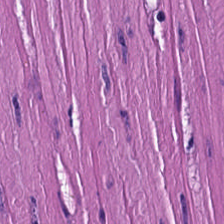H&E-stained section; the field shows muscularis.
